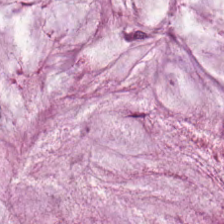This patch shows extracellular mucin.
